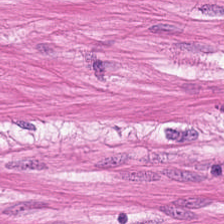Q: What tissue is shown?
A: Smooth muscle.
